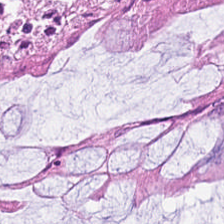H&E stain — Showing benign colonic mucosa.
